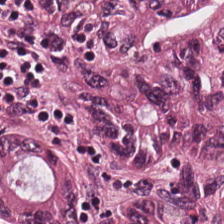The predominant tissue is adenocarcinoma.
